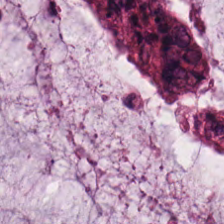Hematoxylin and eosin.
This patch shows extracellular mucin.
